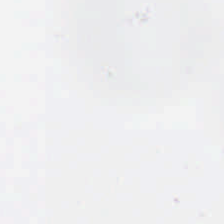H&E stain · brightfield · 224×224 px patch. Field content — empty background.
